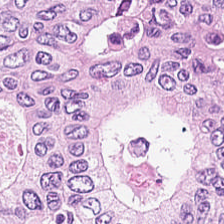Hematoxylin-and-eosin stained section.
Predominantly colorectal adenocarcinoma epithelium.
